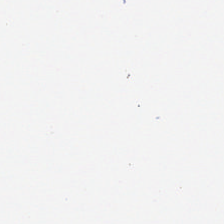0.5 microns per pixel; formalin-fixed paraffin-embedded section; H&E stain.
The content is background.
